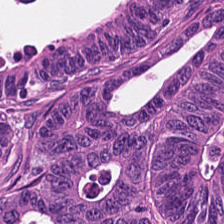H&E stain.
Q: Classify this patch.
A: The field shows adenocarcinoma.
